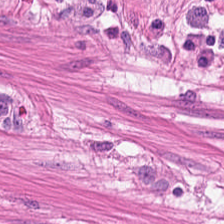Stain: hematoxylin and eosin.
Tissue class: muscularis.
